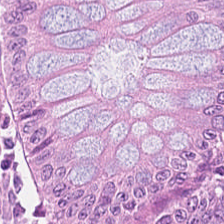Stain: hematoxylin and eosin.
Resolution: 0.5 µm/px.
Preparation: FFPE tissue section.
Tissue class: normal colon mucosa.
